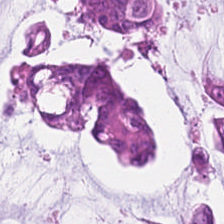H&E-stained tissue section — This field is mucus.
